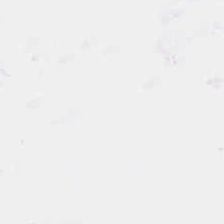0.5 µm/px. H&E stain. Impression — no tissue.
